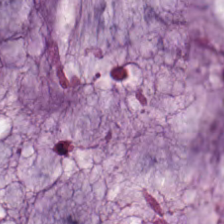Formalin-fixed paraffin-embedded section; 0.5 µm/px; hematoxylin-and-eosin stained section. Predominant tissue — extracellular mucin.
